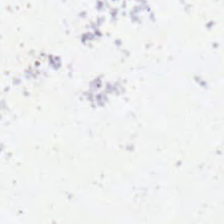H&E stain — Classification: empty background.
